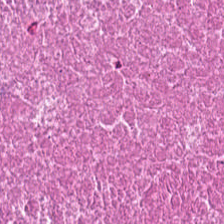Brightfield; 20× equivalent magnification; hematoxylin-and-eosin stained section.
This patch shows debris.
